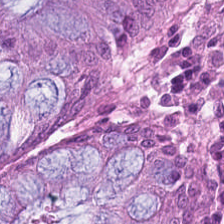Tissue type = non-neoplastic colon mucosa.
